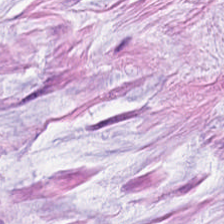Hematoxylin and eosin — Tissue — extracellular mucin.
